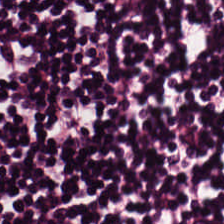H&E stain; 0.5 microns per pixel; FFPE tissue section — The predominant tissue is lymphocyte aggregate.
